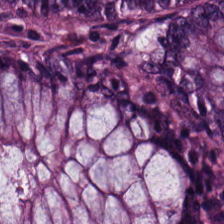Tissue = normal colonic mucosa.
